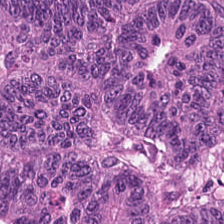Hematoxylin and eosin — Predominantly adenocarcinoma.
